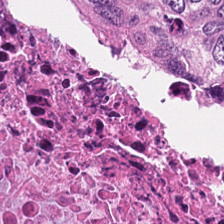Q: What is shown in this field?
A: It is debris.
